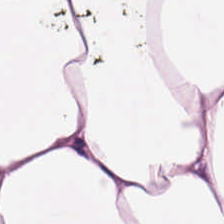Hematoxylin-and-eosin stained section; 224×224 pixel tile — Predominantly adipocytes.
